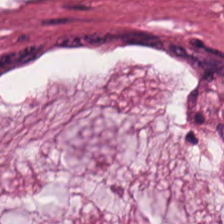H&E; formalin-fixed paraffin-embedded section; 0.5 microns per pixel — This field is extracellular mucin.
